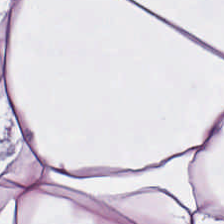{"tissue_type": "adipose tissue"}
